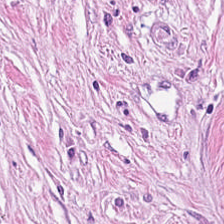Finding — tumor stroma.
